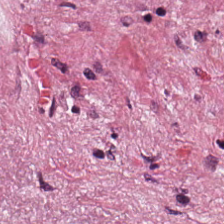Hematoxylin and eosin. 20× equivalent magnification — Classification = tumor-associated stroma.
